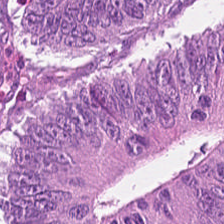This patch shows colorectal adenocarcinoma epithelium.
